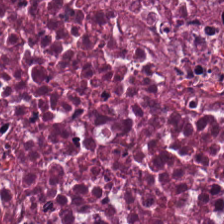H&E-stained tissue section. {"tissue_type": "debris"}
